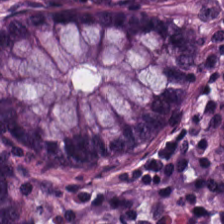Hematoxylin-and-eosin stained section · whole-slide-image patch — Finding → normal colon mucosa.
